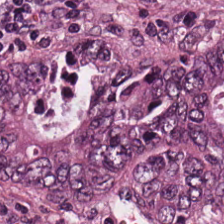The tissue here is colorectal adenocarcinoma.
